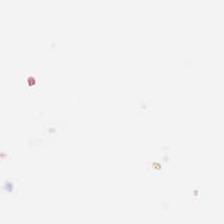Background.
